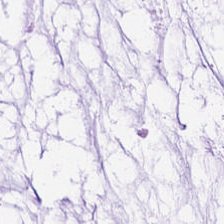Histology → extracellular mucin.
